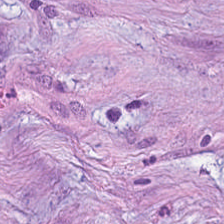Hematoxylin and eosin · 224×224 px patch · brightfield microscopy — Q: What is the predominant tissue type?
A: This is tumor stroma.
